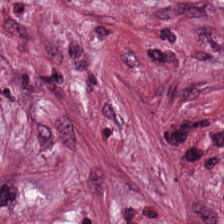Classification = tumor stroma.
